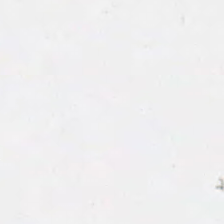Hematoxylin and eosin — Field content: background.
